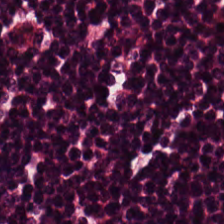Hematoxylin-and-eosin stained section — Classification — lymphoid infiltrate.
